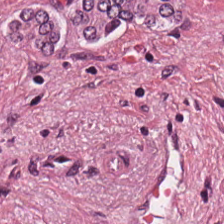224×224 px patch. H&E stain. Brightfield — Tissue class: tumor stroma.
